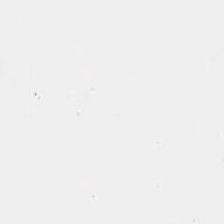Background — no tissue in this field.
